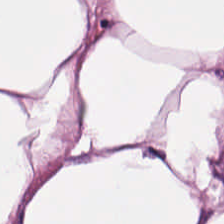H&E stain. FFPE.
Predominant tissue = adipose tissue.
